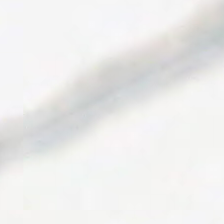H&E-stained tissue section — Background.
